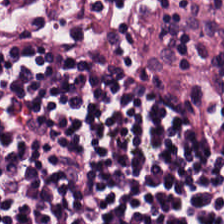H&E-stained tissue section · 224×224 px tile · FFPE.
Predominantly lymphoid infiltrate.
